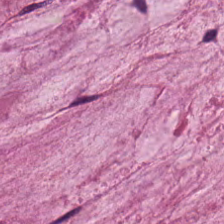This patch shows mucus.
